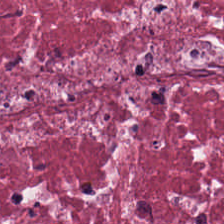H&E-stained tissue section; FFPE.
Tissue: desmoplastic stroma.
